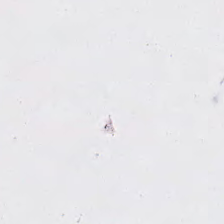0.5 microns per pixel · hematoxylin and eosin — This patch shows no tissue.
